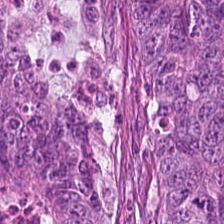224×224 px tile. H&E.
The tissue here is adenocarcinoma.
